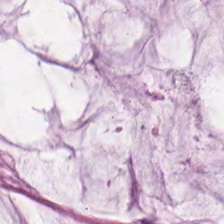H&E-stained tissue section. The tissue here is mucus.
